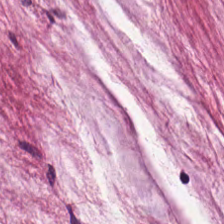Hematoxylin-and-eosin stained section; 224×224 px tile — {"tissue_type": "mucus"}
